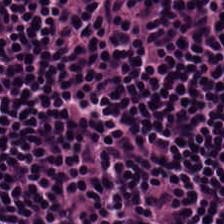H&E. Brightfield microscopy. FFPE. The predominant tissue is lymphoid infiltrate.
